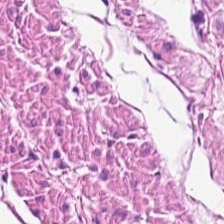Stain: H&E-stained tissue section.
Predominant tissue: smooth-muscle tissue.
